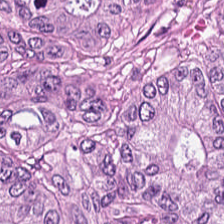Formalin-fixed paraffin-embedded section; hematoxylin-and-eosin stained section — Q: What type of tissue is this?
A: The field shows adenocarcinoma.
